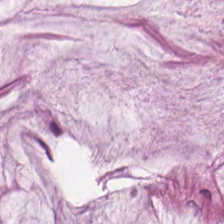Stain: H&E stain.
Tissue type: mucin.
